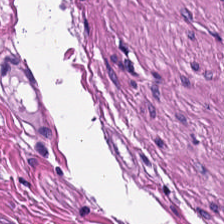This patch shows smooth muscle.
